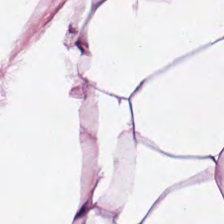Tissue class: adipocytes.
